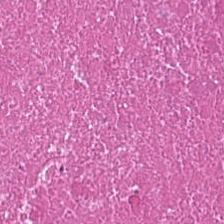H&E. The tissue here is debris.
